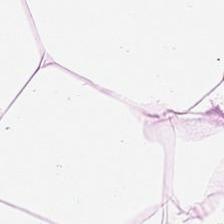Hematoxylin and eosin — Showing fat tissue.
